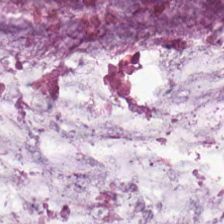The tissue here is mucin.
